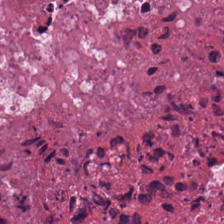0.5 µm/px · H&E stain — Predominant tissue — debris.
